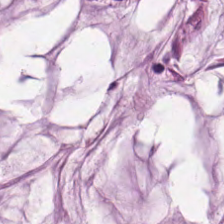0.5 µm per pixel; H&E stain. The predominant tissue is mucin.
